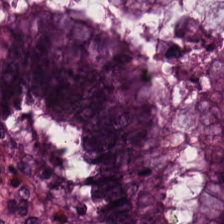Finding — benign colonic mucosa.
